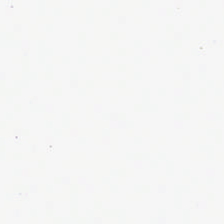Stain: hematoxylin-and-eosin stained section.
Tile size: 224×224 pixel tile.
Content: background.
